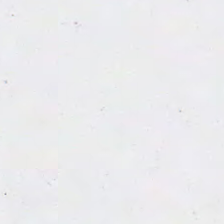H&E stain. 20× equivalent magnification.
Impression → background.
